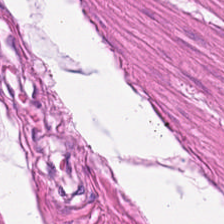H&E stain · FFPE tissue section — The predominant tissue is smooth muscle.
